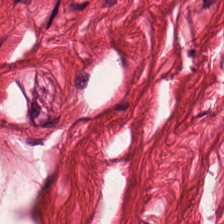H&E stain. 0.5 µm per pixel. 224×224 pixel tile — Smooth-muscle tissue.
